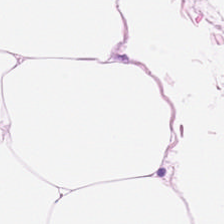H&E stain; whole-slide-image patch.
This field is adipocytes.
